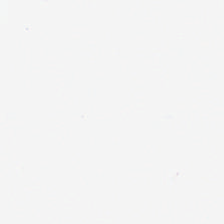FFPE. Hematoxylin and eosin.
Field content: background (no tissue).
